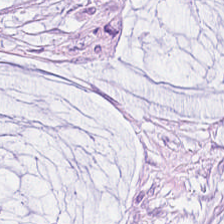The predominant tissue is mucus.
